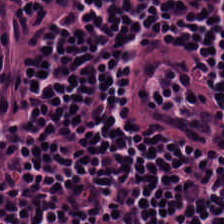Tissue class — lymphocytes.
